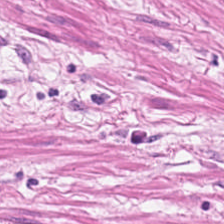{"tissue_type": "smooth muscle"}
